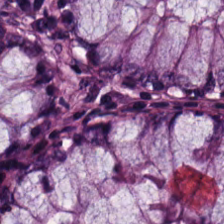H&E.
Predominantly benign colonic mucosa.
